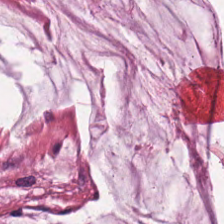Stain: hematoxylin and eosin.
Tissue: mucin.
